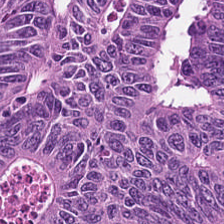Hematoxylin-and-eosin section: colorectal adenocarcinoma.
